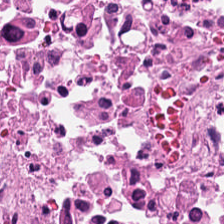Stain: H&E stain.
Tissue: cellular debris.
